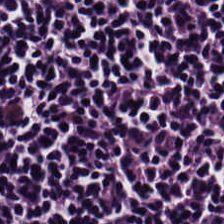Stain: H&E-stained tissue section.
Tile size: 224×224 px tile.
Predominant tissue: lymphocytes.
